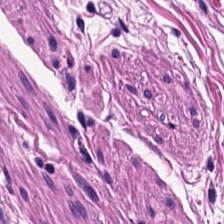Q: What is shown here?
A: The field shows muscularis.
